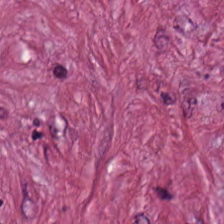FFPE · hematoxylin and eosin · 0.5 µm per pixel. This patch shows cancer-associated stroma.
